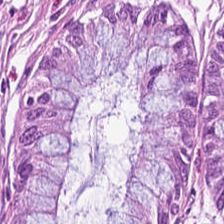Whole-slide-image patch · hematoxylin-and-eosin stained section. Non-neoplastic colon mucosa.
